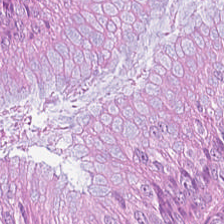224×224 pixel tile. Hematoxylin-and-eosin stained section. Predominant tissue — colorectal adenocarcinoma epithelium.
